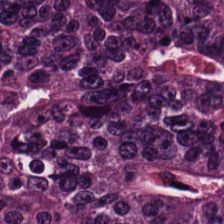Q: Classify this patch.
A: This is colorectal adenocarcinoma.
